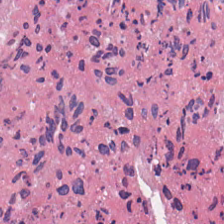Hematoxylin-and-eosin stained section. Q: What tissue type is shown here?
A: It is debris.
